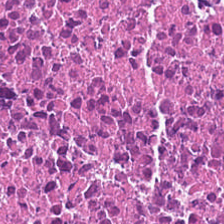FFPE; H&E.
This field is cellular debris.
